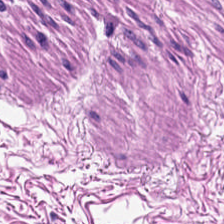H&E — smooth-muscle tissue.
